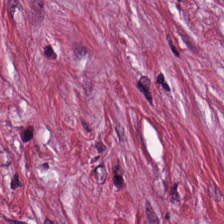H&E-stained tissue section. 0.5 µm/px. FFPE — Finding → desmoplastic stroma.
